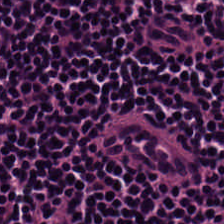FFPE. H&E. This patch shows lymphoid infiltrate.
